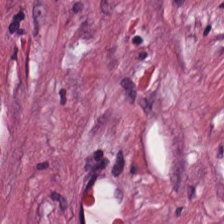224×224 pixel tile. H&E-stained tissue section.
The predominant tissue is desmoplastic stroma.
